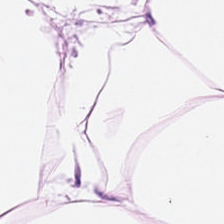0.5 µm per pixel; H&E-stained tissue section — The predominant tissue is adipose.
